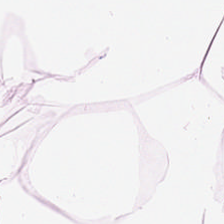H&E · 224×224 pixel tile — The tissue here is adipose.
